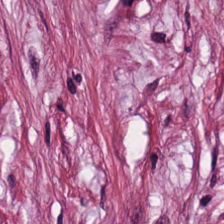Brightfield microscopy · H&E stain — The tissue here is cancer-associated stroma.
